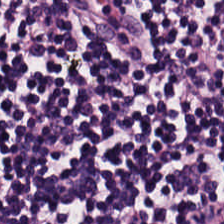H&E-stained tissue section. Q: What type of tissue is this?
A: This is lymphocyte aggregate.
